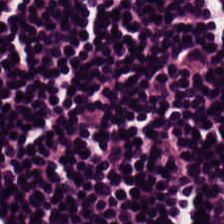20× equivalent magnification · H&E stain · 224×224 pixel tile.
Showing lymphocytes.
